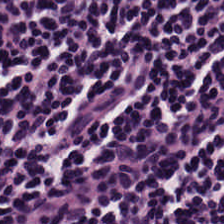Predominant tissue: lymphoid infiltrate.
